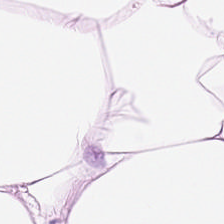H&E stain. Whole-slide-image patch — Tissue: adipose.
